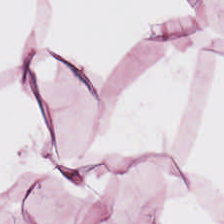Predominantly fat tissue.
